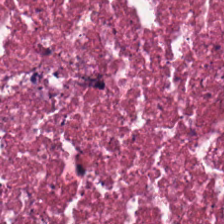H&E — This field is debris.
